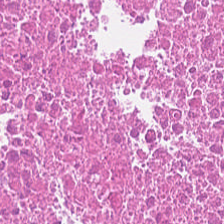224×224 px tile. 20× equivalent magnification. H&E stain. The tissue class is debris.
